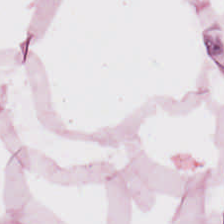FFPE. H&E stain. 224×224 px patch. This field is adipocytes.
